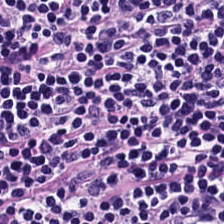FFPE · H&E stain · 0.5 microns per pixel.
Q: What is shown here?
A: It is lymphocytic infiltrate.
